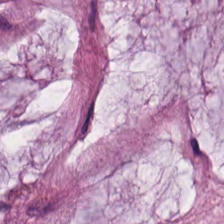Hematoxylin and eosin — Showing extracellular mucin.
